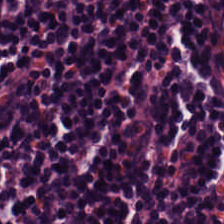Whole-slide-image patch. H&E. Classification: lymphoid infiltrate.
